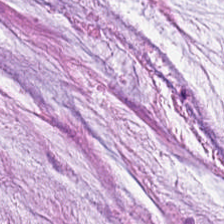H&E stain — Mucin.
